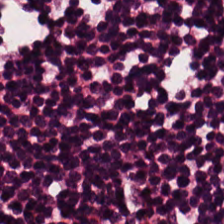Q: What tissue is shown?
A: This is lymphocytes.
